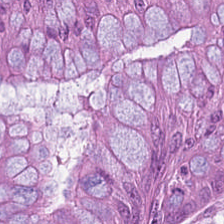Formalin-fixed paraffin-embedded section · H&E-stained tissue section · brightfield microscopy.
The tissue class is colorectal adenocarcinoma.
